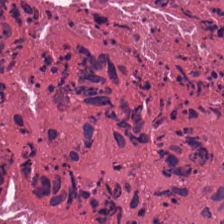H&E stain · brightfield microscopy. The predominant tissue is debris.
